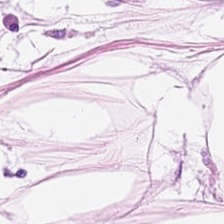Stain: hematoxylin-and-eosin stained section.
Preparation: FFPE.
Tissue: adipose tissue.
